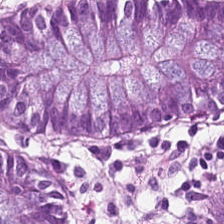H&E · FFPE tissue section.
Histology → non-neoplastic colon mucosa.
